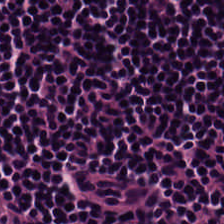Hematoxylin-and-eosin stained section.
This field is lymphocytes.
